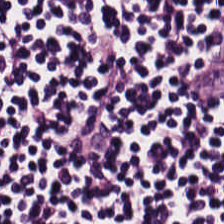H&E-stained tissue section; WSI patch — This field is lymphoid infiltrate.
